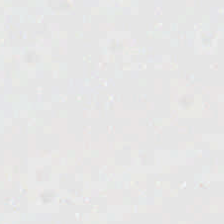Stain: H&E stain.
Classification: background.
